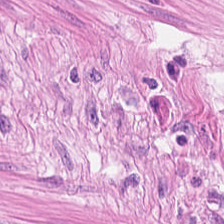H&E. FFPE. Brightfield microscopy. Classification — smooth-muscle tissue.
